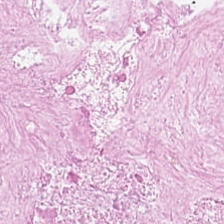H&E-stained tissue section. 224×224 pixel tile.
Predominantly cellular debris.
